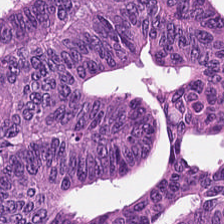224×224 px patch. H&E — Finding — adenocarcinoma.
